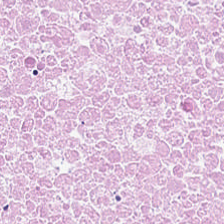Whole-slide-image patch; hematoxylin-and-eosin stained section; 0.5 microns per pixel. This patch shows cellular debris.
